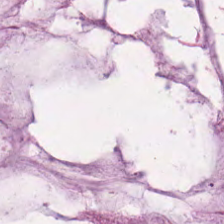H&E-stained tissue section — Showing mucin.
